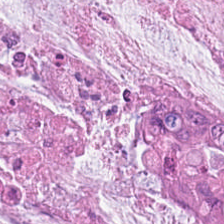FFPE · H&E stain — Showing extracellular mucin.
